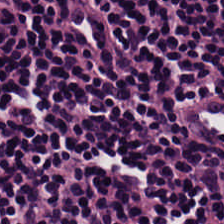This field is lymphoid infiltrate.
